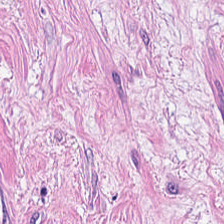H&E.
Predominant tissue: cancer-associated stroma.
